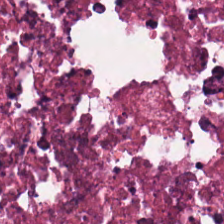Showing debris.
